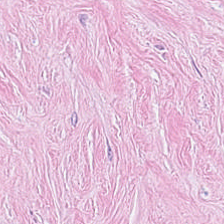FFPE tissue section. Hematoxylin and eosin. 0.5 µm/px. Tissue: cancer-associated stroma.
